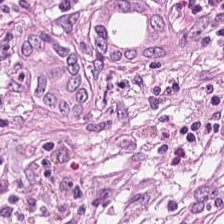Tumor-associated stroma.
